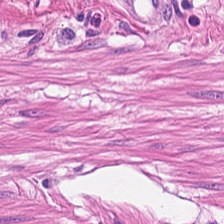H&E-stained tissue section — Tissue: muscularis.
